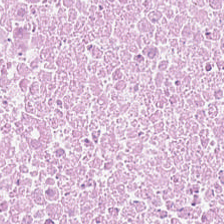Hematoxylin-and-eosin stained section · 224×224 px patch. This patch shows cellular debris.
